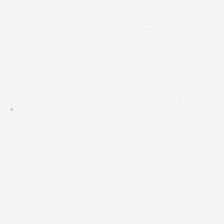Hematoxylin and eosin. 224×224 pixel tile. Whole-slide-image patch. No tissue present; background only.
